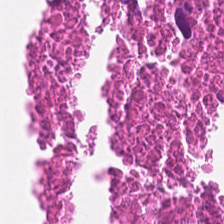H&E-stained tissue section; 0.5 microns per pixel. Classification — cellular debris.
